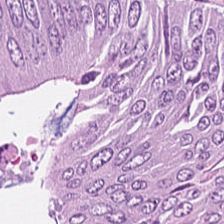Stain: H&E stain.
Resolution: 0.5 microns per pixel.
Tissue: colorectal adenocarcinoma.
